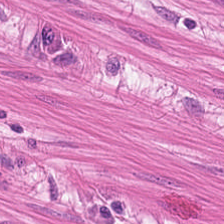Hematoxylin and eosin — This field is smooth-muscle tissue.
